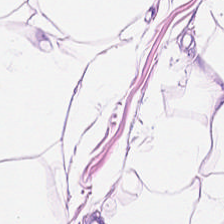Hematoxylin and eosin — This patch shows adipose tissue.
